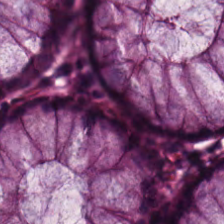Hematoxylin-and-eosin stained section; 224×224 pixel tile.
This patch shows normal colon mucosa.
